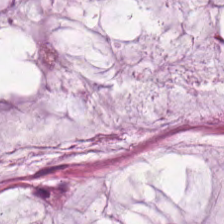Predominant tissue — extracellular mucin.
